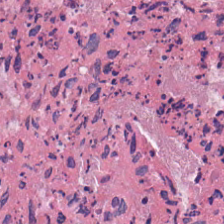Q: Identify the tissue.
A: It is cellular debris.
